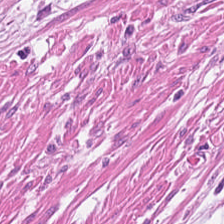Whole-slide-image patch; H&E.
Tissue type = muscularis.
